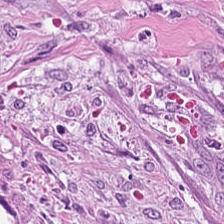H&E — tumor-associated stroma.
